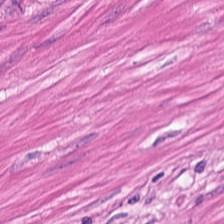H&E. This patch shows muscularis.
